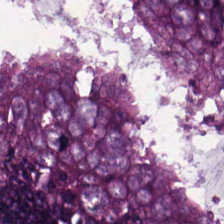Hematoxylin and eosin; whole-slide-image patch.
Colorectal adenocarcinoma.
